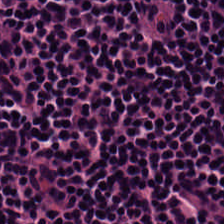FFPE. Hematoxylin and eosin — The tissue class is lymphoid infiltrate.
